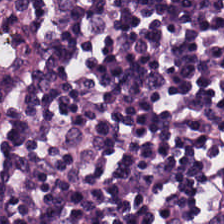Hematoxylin and eosin.
Q: Identify the tissue.
A: It is lymphocytes.
